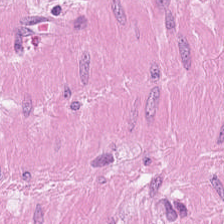Stain: hematoxylin and eosin.
Preparation: FFPE.
Resolution: 0.5 µm/px.
Tissue class: smooth muscle.
